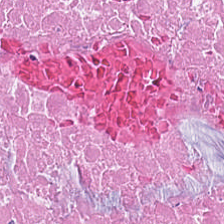Hematoxylin and eosin. {"tissue_type": "debris"}
